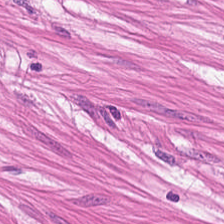Hematoxylin-and-eosin stained section.
Tissue type — smooth muscle.
